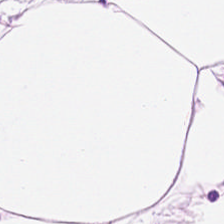Q: What tissue type is shown here?
A: Adipocytes.
